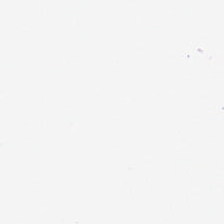Background (no tissue).
